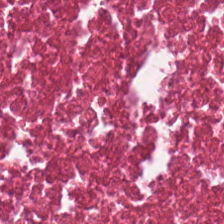0.5 µm per pixel; hematoxylin-and-eosin stained section — Debris.
